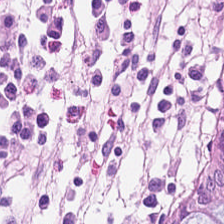Hematoxylin-and-eosin stained section. 20× equivalent magnification.
This field is normal colon mucosa.
